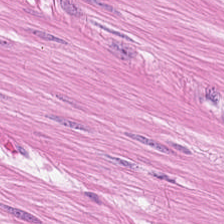Q: What is the predominant tissue type?
A: This is muscularis.
